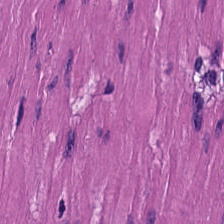Hematoxylin-and-eosin section: smooth-muscle tissue.
